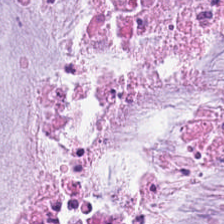FFPE · 224×224 px patch · hematoxylin and eosin — Histology → mucin.
